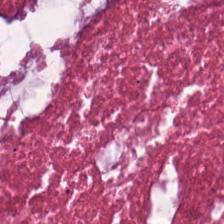Brightfield · H&E · formalin-fixed paraffin-embedded section. Q: What tissue is shown?
A: The field shows necrotic debris.
